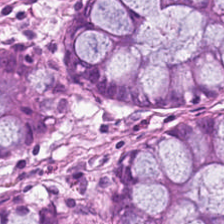H&E-stained tissue section; FFPE; 0.5 µm/px — Q: Classify this patch.
A: This is normal colonic mucosa.
